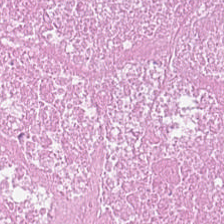Hematoxylin and eosin — Showing necrotic debris.
